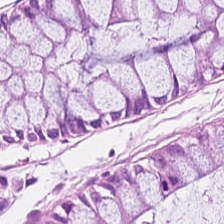Hematoxylin and eosin. This patch shows non-neoplastic colon mucosa.
